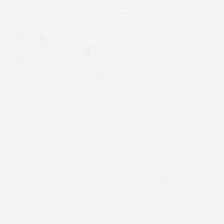FFPE; H&E — The classification is empty background.
